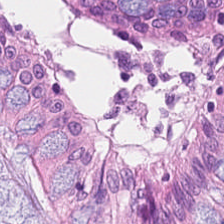H&E stain. Brightfield microscopy. The tissue class is benign colonic mucosa.
